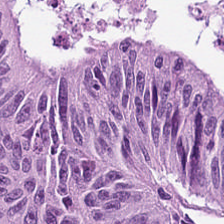FFPE tissue section · H&E-stained tissue section.
This field is adenocarcinoma.
